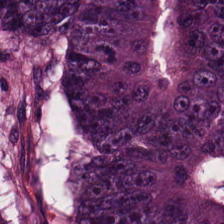Q: What type of tissue is this?
A: It is malignant epithelium.
